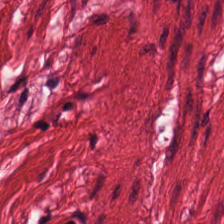H&E. Classification: smooth muscle.
